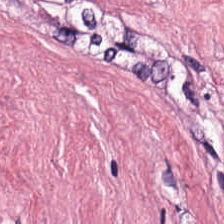Predominantly tumor stroma.
